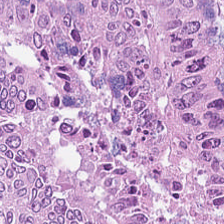H&E-stained tissue section.
{"tissue_type": "malignant epithelium"}
